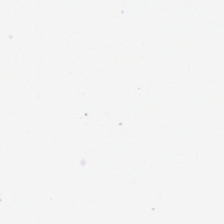Background — no tissue in this field.
